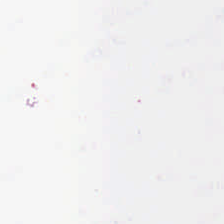Hematoxylin and eosin. FFPE tissue section. Q: What does this patch show?
A: The field shows no tissue.
